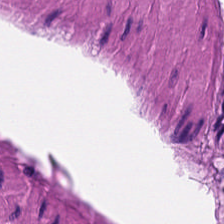H&E stain.
Q: What is the predominant tissue type?
A: Muscularis.
